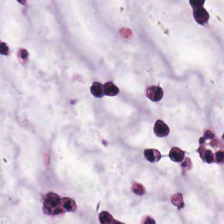H&E stain — Q: What type of tissue is this?
A: It is mucin.
